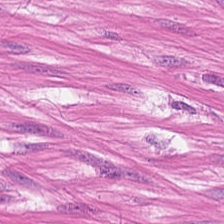H&E-stained tissue section; 0.5 microns per pixel. The predominant tissue is smooth-muscle tissue.
